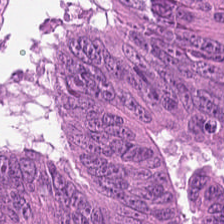Hematoxylin-and-eosin stained section.
This field is colorectal adenocarcinoma epithelium.
